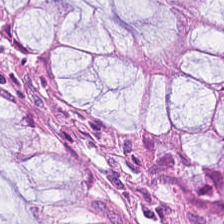20× equivalent magnification · H&E stain — Benign colonic mucosa.
